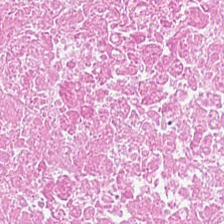Tissue class — debris.
